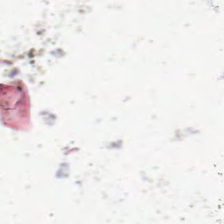Brightfield · hematoxylin-and-eosin stained section.
Q: What is shown here?
A: It is background.
